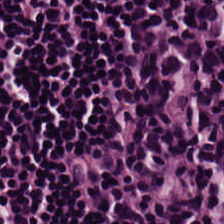H&E-stained tissue section — Finding — lymphocyte aggregate.
